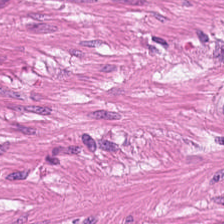FFPE. Hematoxylin and eosin. Classification = smooth muscle.
